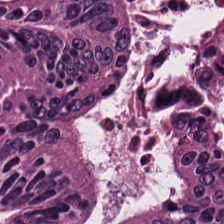Brightfield microscopy; 0.5 µm/px; hematoxylin and eosin.
This field is tumor epithelium.
